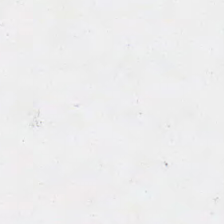Stain: hematoxylin-and-eosin stained section.
Content: background (no tissue).
